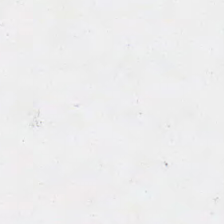Stain: hematoxylin-and-eosin stained section.
Content: background (no tissue).
